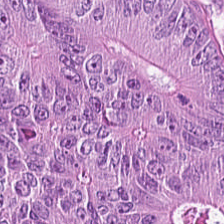Hematoxylin-and-eosin stained section.
Finding → tumor epithelium.
